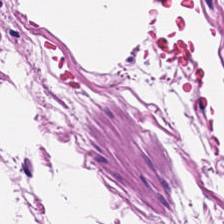Brightfield microscopy · H&E stain. This field is muscularis.
